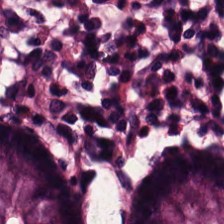H&E stain — Tissue class = non-neoplastic colon mucosa.
